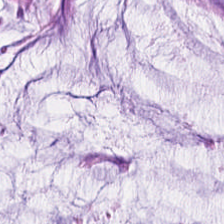H&E stain; 0.5 µm/px.
Showing mucus.
